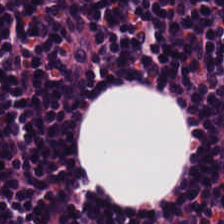Hematoxylin-and-eosin stained section — Classification = lymphocytes.
